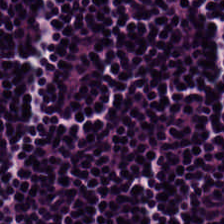0.5 µm per pixel; hematoxylin-and-eosin stained section — Predominantly lymphocyte aggregate.
